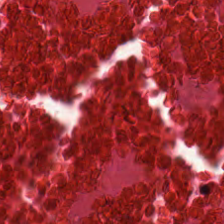Tissue class — necrotic debris.
